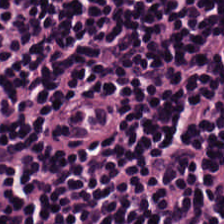FFPE; hematoxylin and eosin; WSI patch.
The tissue class is lymphocytes.
